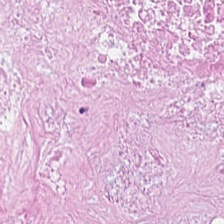FFPE. Hematoxylin-and-eosin stained section.
{"tissue_type": "debris"}
